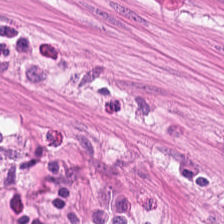H&E — Tissue class — muscularis.
